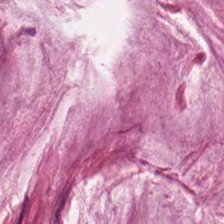H&E-stained tissue section. 224×224 px tile — Mucus.
